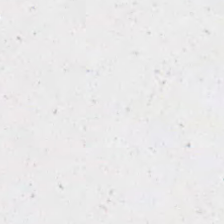H&E-stained tissue section; formalin-fixed paraffin-embedded section.
{"content": "background (no tissue)"}
